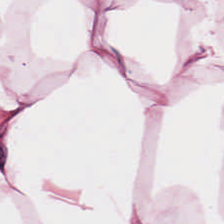Tissue class: adipocytes.
